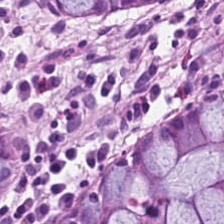Hematoxylin-and-eosin stained section — Tissue — benign colonic mucosa.
